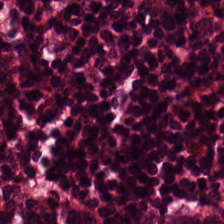Stain: H&E stain.
Tissue class: normal colon mucosa.
